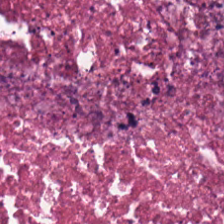H&E-stained tissue section; 224×224 px tile; 0.5 µm per pixel.
Cellular debris.
